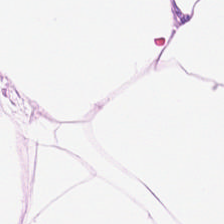0.5 µm/px. Hematoxylin and eosin. FFPE tissue section. The tissue here is adipose.
